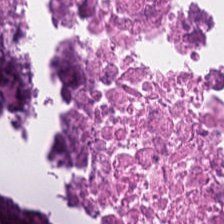H&E stain · WSI patch. The classification is debris.
